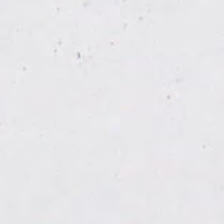Stain: H&E stain.
Field content: no tissue.
